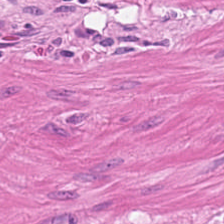H&E-stained tissue section. Tissue — muscularis.
